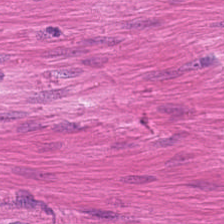H&E. Q: What type of tissue is this?
A: It is smooth muscle.
